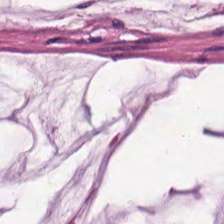Stain: hematoxylin and eosin.
Resolution: 0.5 µm per pixel.
Acquisition: brightfield microscopy.
Predominant tissue: mucus.
